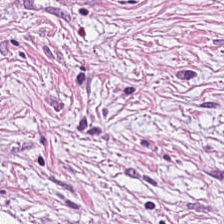Hematoxylin-and-eosin stained section. {"tissue_type": "tumor stroma"}
